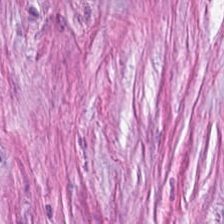FFPE tissue section · H&E-stained tissue section — Predominantly cancer-associated stroma.
